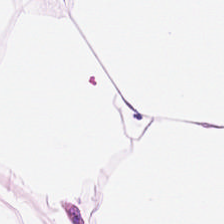H&E-stained tissue section — Q: What is the predominant tissue type?
A: The field shows adipose.
